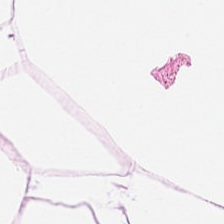Hematoxylin and eosin. {"tissue_type": "adipose tissue"}
